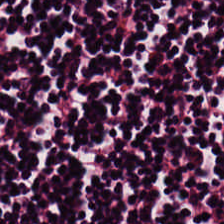Hematoxylin-and-eosin stained section.
The tissue here is lymphoid infiltrate.
